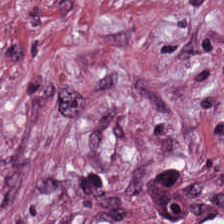{"tissue_type": "cancer-associated stroma"}
